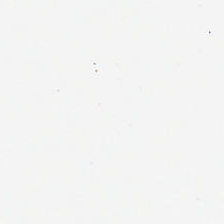H&E. 0.5 µm/px.
Q: What is shown in this field?
A: This is empty background.
